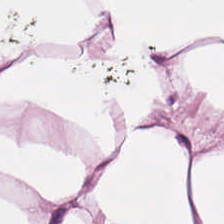H&E-stained tissue section. 20× equivalent magnification.
This field is adipose tissue.
